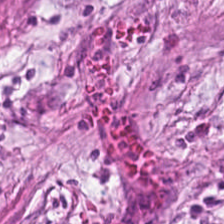224×224 px patch; formalin-fixed paraffin-embedded section; hematoxylin and eosin. Showing tumor stroma.
